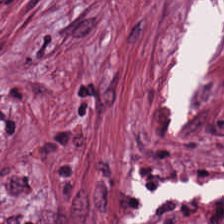H&E patch showing cancer-associated stroma.
